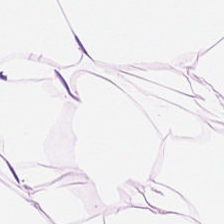H&E stain.
Q: Classify this patch.
A: This is adipose tissue.
